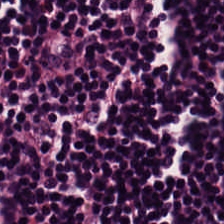H&E. 20× equivalent magnification — Showing lymphocytes.
